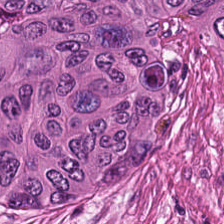{"tissue_type": "adenocarcinoma"}
